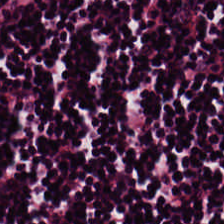H&E stain. Q: What is the predominant tissue type?
A: The field shows lymphocyte aggregate.
